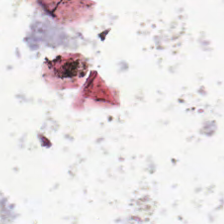No tissue present; background only.
